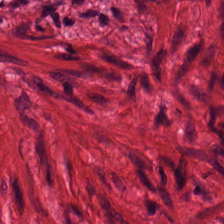H&E stain.
Tissue class: muscularis.
